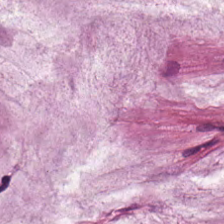Formalin-fixed paraffin-embedded section · 224×224 px patch · H&E — Q: What is shown in this field?
A: This is mucin.
